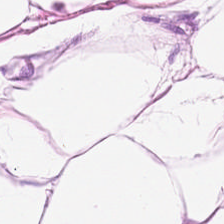Hematoxylin and eosin. Adipose.
